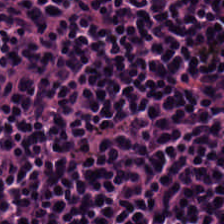H&E-stained tissue section; WSI patch.
The predominant tissue is lymphoid infiltrate.
